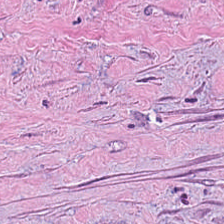WSI patch · H&E stain. Tissue type — tumor-associated stroma.
